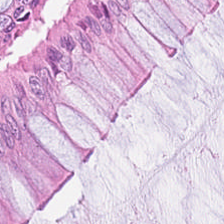Q: Identify the tissue.
A: Benign colonic mucosa.
